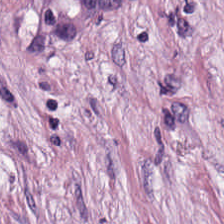Formalin-fixed paraffin-embedded section; H&E stain — The tissue here is cancer-associated stroma.
